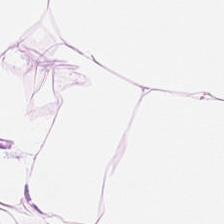H&E stain.
This field is adipose.
